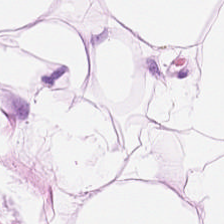Hematoxylin and eosin. Fat tissue.
